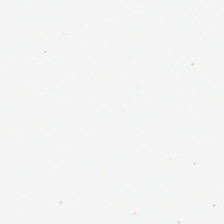H&E stain.
Background — no tissue in this field.
